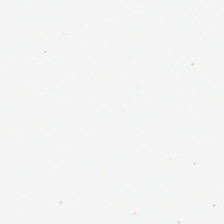H&E stain.
Background — no tissue in this field.
